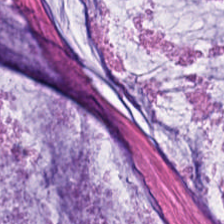H&E stain. This patch shows mucin.
